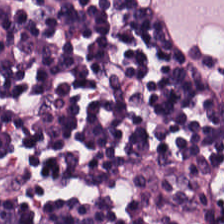Formalin-fixed paraffin-embedded section · hematoxylin-and-eosin stained section · 224×224 px tile. Q: What does this patch show?
A: The field shows lymphocyte aggregate.
